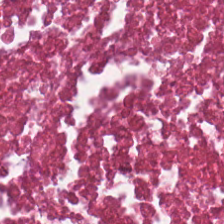Hematoxylin-and-eosin stained section.
This field is debris.
